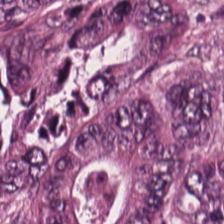Hematoxylin-and-eosin stained section — Q: Classify this patch.
A: This is tumor epithelium.
